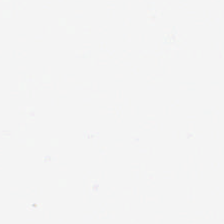H&E stain.
Q: What does this patch show?
A: Empty background.
